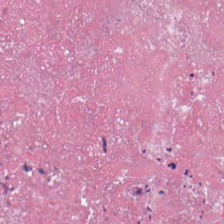Hematoxylin-and-eosin stained section; FFPE tissue section — Tissue = debris.
